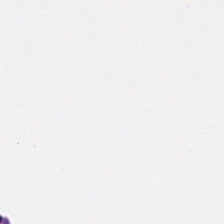H&E-stained tissue section. This patch shows normal colon mucosa.
